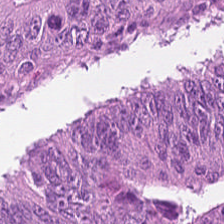Showing adenocarcinoma.
